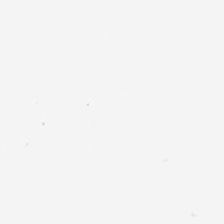H&E-stained tissue section; brightfield; FFPE.
Empty field — no tissue.
